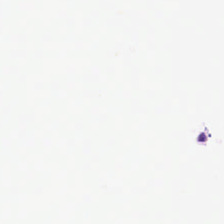H&E-stained tissue section — Content — background.
